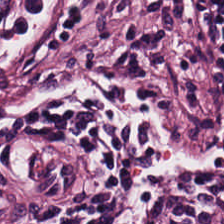H&E. Q: What tissue type is shown here?
A: Lymphocytes.
